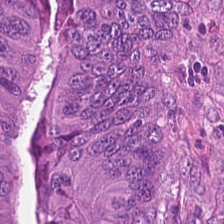Finding → tumor epithelium.
